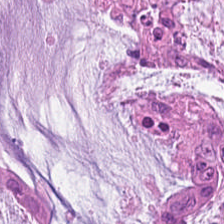Hematoxylin-and-eosin stained section. Mucin.
